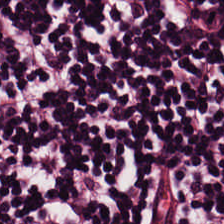H&E. 20× equivalent magnification. Tissue class = lymphocyte aggregate.
